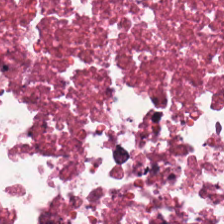Formalin-fixed paraffin-embedded section; H&E-stained tissue section. Necrotic debris.
